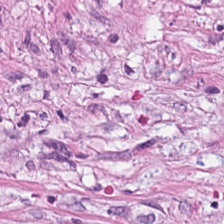0.5 µm/px · 224×224 px tile · H&E — Impression — tumor-associated stroma.
